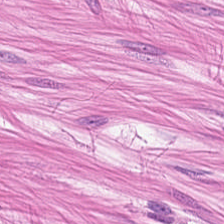Q: What is shown here?
A: It is smooth muscle.
